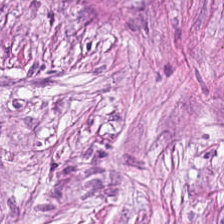Stain: H&E stain.
Preparation: FFPE.
Acquisition: brightfield.
Tissue type: tumor stroma.
